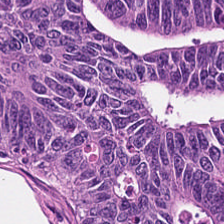224×224 px patch · hematoxylin and eosin — This field is adenocarcinoma.
